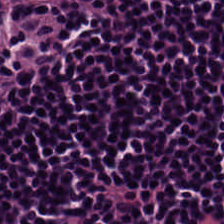H&E-stained tissue section. Formalin-fixed paraffin-embedded section — Showing lymphocytic infiltrate.
